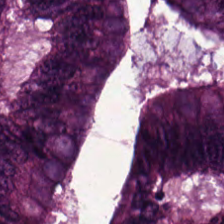Hematoxylin and eosin.
Q: What does this patch show?
A: This is tumor epithelium.
